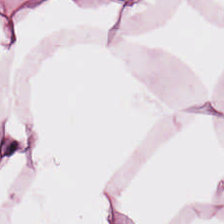H&E. Whole-slide-image patch. Predominantly adipose tissue.
